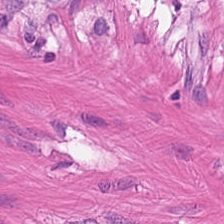Hematoxylin-and-eosin stained section. Histology → muscularis.
